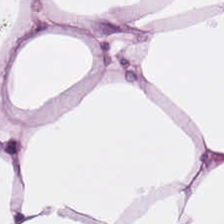H&E.
Adipocytes.
